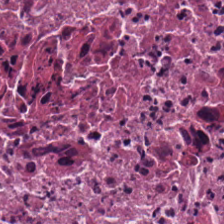{"tissue_type": "debris"}
